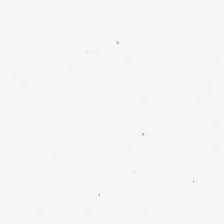H&E. Histology → background.
